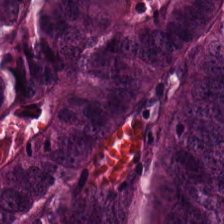Whole-slide-image patch. H&E-stained tissue section — Predominantly tumor epithelium.
